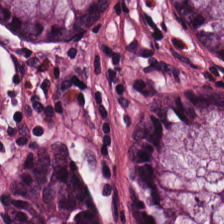H&E-stained tissue section; 0.5 microns per pixel — Tissue = benign colonic mucosa.
